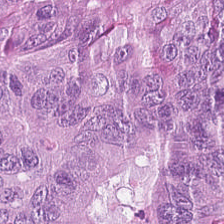224×224 pixel tile · H&E-stained tissue section.
The predominant tissue is colorectal adenocarcinoma epithelium.
